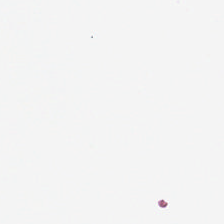H&E stain — This patch shows background.
